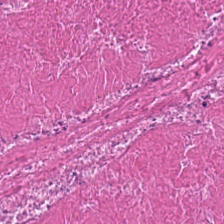Stain: hematoxylin-and-eosin stained section.
Tissue: necrotic debris.
